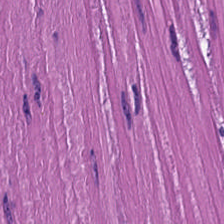H&E-stained tissue section — Predominantly muscularis.
